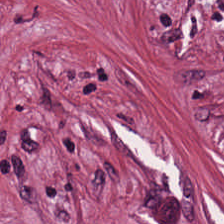Hematoxylin-and-eosin section: tumor stroma.
